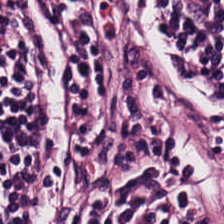Stain: H&E-stained tissue section.
Preparation: FFPE.
Acquisition: brightfield.
Classification: lymphocyte aggregate.
